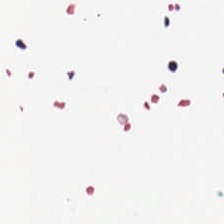FFPE; 20× equivalent magnification; H&E stain. No tissue present; background only.
